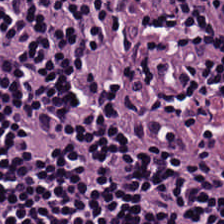Histology → lymphocytes.
